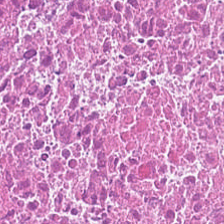Stain: H&E.
Tile size: 224×224 pixel tile.
Tissue: necrotic debris.
